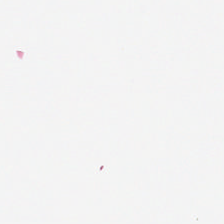H&E; WSI patch — {"content": "background"}
